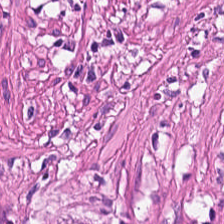Stain: H&E.
Tissue: smooth muscle.
